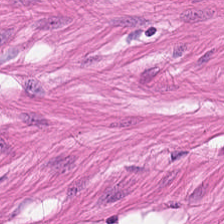FFPE tissue section. Hematoxylin and eosin. 224×224 px tile.
The tissue type is muscularis.
